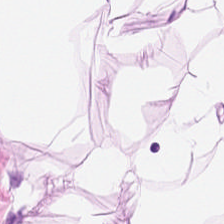Hematoxylin-and-eosin stained section — Fat tissue.
